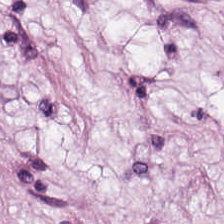Hematoxylin and eosin — Q: What is shown here?
A: This is adipose tissue.
